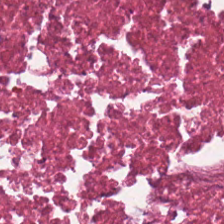Hematoxylin-and-eosin stained section; FFPE tissue section. Q: Identify the tissue.
A: This is cellular debris.
